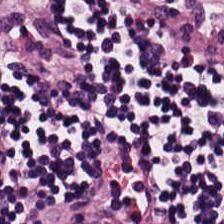Q: What is the predominant tissue type?
A: This is lymphoid infiltrate.
